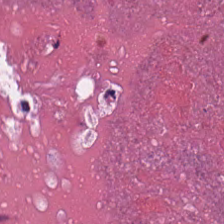Brightfield microscopy; hematoxylin and eosin.
Q: What is shown in this field?
A: It is debris.
